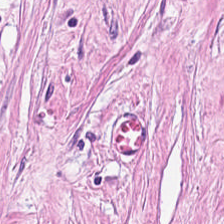Hematoxylin-and-eosin stained section; FFPE tissue section; brightfield microscopy — Q: What is shown here?
A: The field shows tumor-associated stroma.
